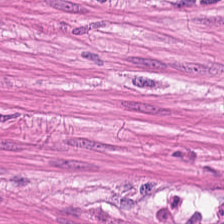Stain: H&E stain.
Classification: smooth-muscle tissue.
